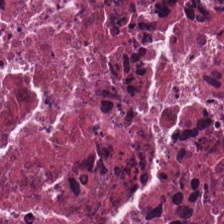H&E-stained tissue section; 224×224 px patch. Tissue type — necrotic debris.
